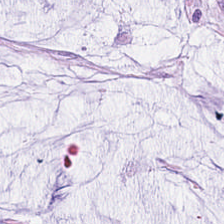Hematoxylin and eosin. Mucus.
